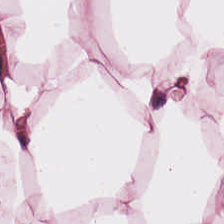Q: What is shown here?
A: This is fat tissue.
